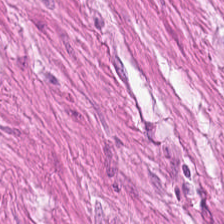H&E stain · 0.5 microns per pixel — Showing smooth muscle.
